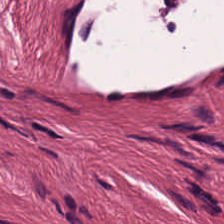Hematoxylin and eosin; 0.5 microns per pixel.
This field is tumor stroma.
